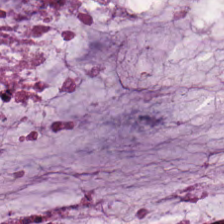FFPE · hematoxylin and eosin · 0.5 µm/px — Predominantly mucin.
